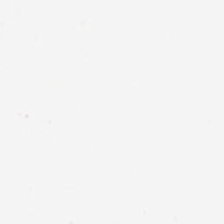Hematoxylin-and-eosin stained section — Content: background.
